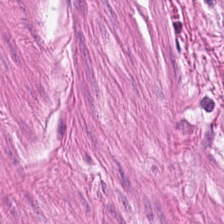Hematoxylin-and-eosin stained section; 0.5 µm per pixel; 224×224 px patch.
Tissue class: muscularis.
